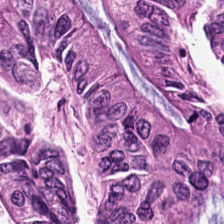Hematoxylin and eosin — Q: What tissue type is shown here?
A: It is colorectal adenocarcinoma.
